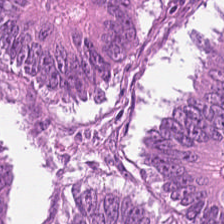H&E-stained tissue section.
Tissue type — malignant epithelium.
